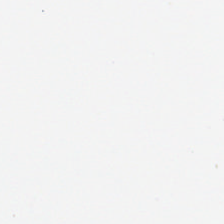H&E stain — No tissue.
